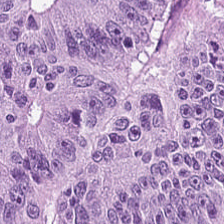Finding → malignant epithelium.
